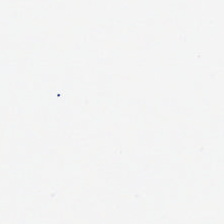Stain: hematoxylin and eosin.
Content: no tissue.
